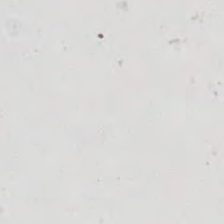H&E. 20× equivalent magnification. Histology → background.
